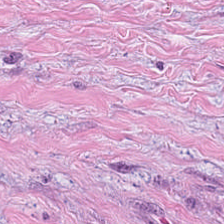Hematoxylin and eosin; brightfield — Histology → desmoplastic stroma.
